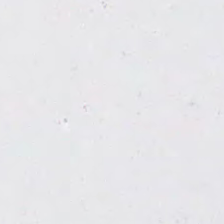Background.
